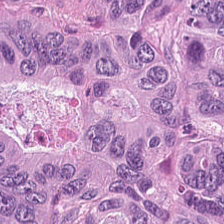Tissue: malignant epithelium.
